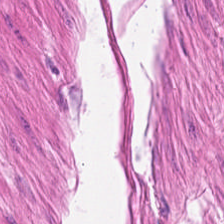Stain: H&E-stained tissue section.
Classification: muscularis.
